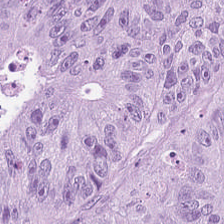{"tissue_type": "tumor epithelium"}
